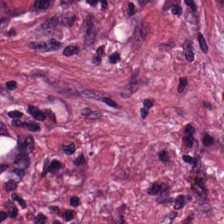Hematoxylin-and-eosin stained section · 224×224 px tile.
Q: What is the predominant tissue type?
A: This is tumor-associated stroma.
